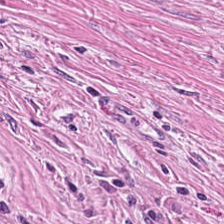H&E-stained tissue section.
The classification is tumor-associated stroma.
